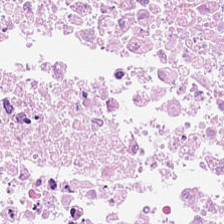Q: Identify the tissue.
A: It is debris.
